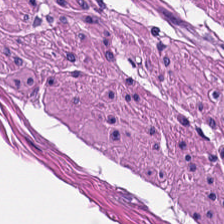Hematoxylin and eosin. 0.5 µm/px.
Showing muscularis.
